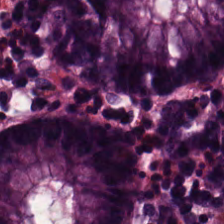Stain: hematoxylin-and-eosin stained section.
Predominant tissue: benign colonic mucosa.
